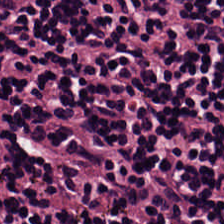Hematoxylin and eosin. This patch shows lymphocytic infiltrate.
